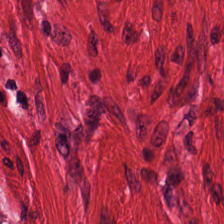This patch shows smooth-muscle tissue.
